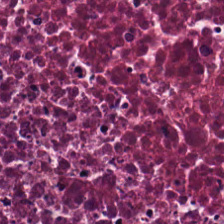H&E. The tissue type is cellular debris.
